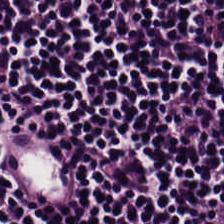Whole-slide-image patch; H&E-stained tissue section; 0.5 µm per pixel — Tissue — lymphocyte aggregate.
